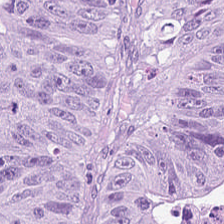H&E. Tissue = tumor epithelium.
